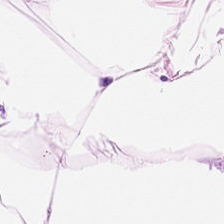H&E. Classification = adipose tissue.
